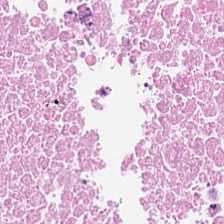Hematoxylin and eosin.
Debris.
